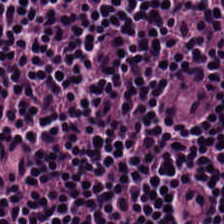Stain: hematoxylin-and-eosin stained section.
Tissue: lymphocyte aggregate.
